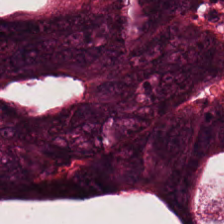224×224 pixel tile; H&E stain — Tissue = colorectal adenocarcinoma epithelium.
